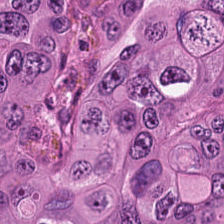H&E stain — The tissue here is colorectal adenocarcinoma.
